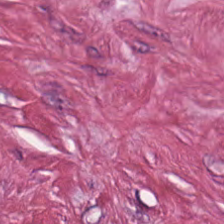H&E-stained tissue section; brightfield microscopy. Histology → tumor stroma.
